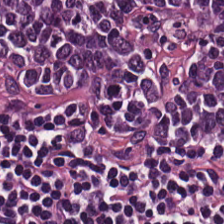Hematoxylin and eosin. 0.5 µm per pixel — Lymphocyte aggregate.
